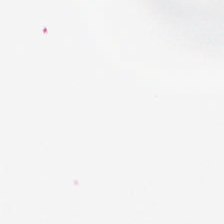Hematoxylin-and-eosin stained section. Whole-slide-image patch. 224×224 px tile. Classification — background.
